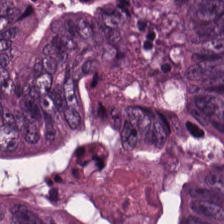Hematoxylin and eosin. Tissue type: cellular debris.
